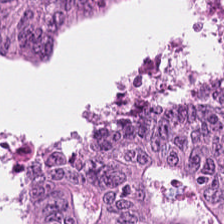Hematoxylin and eosin.
The predominant tissue is colorectal adenocarcinoma.
